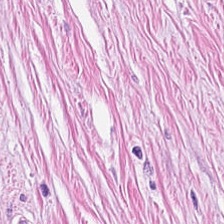Hematoxylin and eosin. Tumor stroma.
